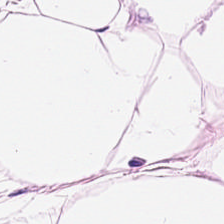H&E — Adipose tissue.
